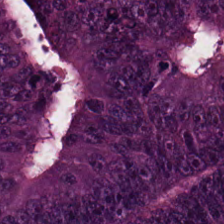Stain: H&E stain.
Tissue: adenocarcinoma.
